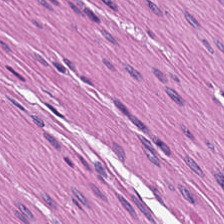The predominant tissue is smooth muscle.
